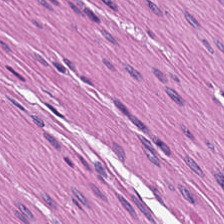The predominant tissue is smooth muscle.
